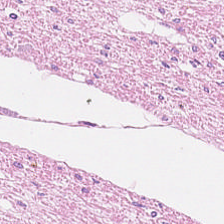H&E stain — Q: What is shown in this field?
A: This is smooth muscle.
